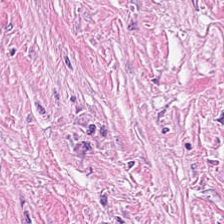H&E · formalin-fixed paraffin-embedded section · 224×224 px tile. This field is cancer-associated stroma.
